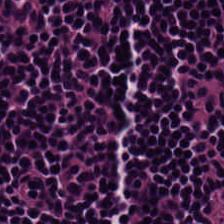H&E · 224×224 px tile.
The predominant tissue is lymphocyte aggregate.
